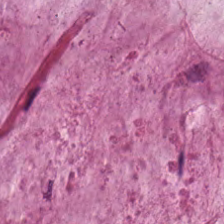Hematoxylin-and-eosin stained section.
Classification: mucus.
